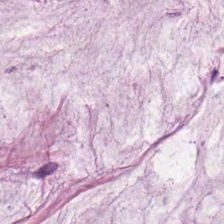Hematoxylin-and-eosin stained section.
Predominantly mucus.
